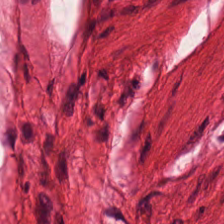Showing smooth-muscle tissue.
